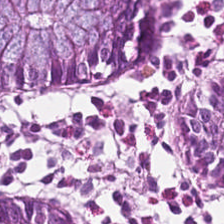Tissue class — normal colon mucosa.
